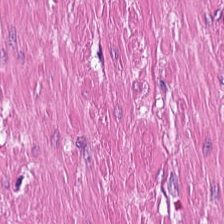This patch shows smooth-muscle tissue.
